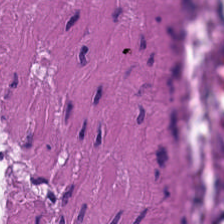H&E — Tissue = smooth muscle.
